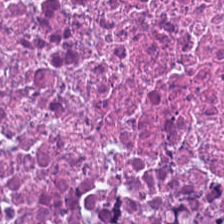Hematoxylin-and-eosin stained section. 224×224 px tile. Predominantly necrotic debris.
